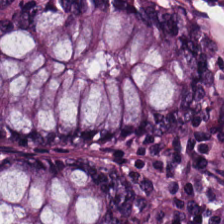224×224 px tile. Hematoxylin-and-eosin stained section.
{"tissue_type": "benign colonic mucosa"}
